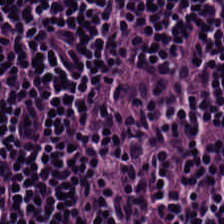0.5 µm/px. Hematoxylin and eosin. {"tissue_type": "lymphocytes"}
